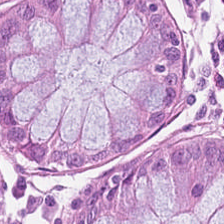H&E-stained tissue section; FFPE.
Q: What is shown in this field?
A: The field shows normal colon mucosa.
